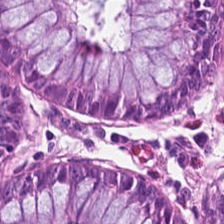Hematoxylin-and-eosin section: benign colonic mucosa.
